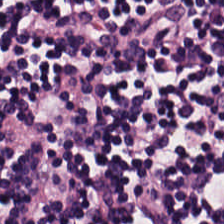Hematoxylin-and-eosin stained section. 224×224 px tile.
The tissue here is lymphocytic infiltrate.
